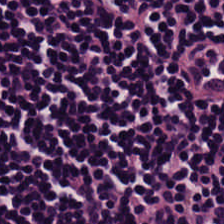H&E — Lymphocytes.
